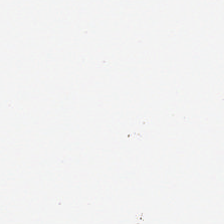Brightfield microscopy. Hematoxylin and eosin — Finding → no tissue.
